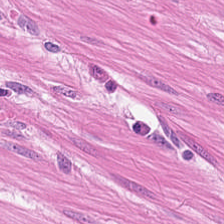Q: What tissue type is shown here?
A: It is smooth-muscle tissue.
